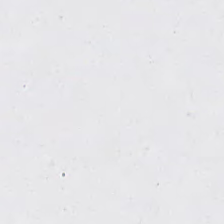H&E stain; 0.5 µm/px; 224×224 px tile.
This field is background (no tissue).
